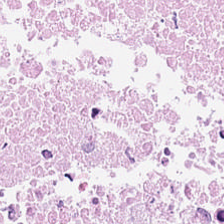Predominantly cellular debris.
